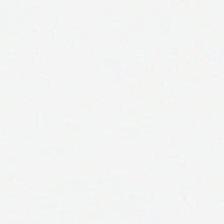Hematoxylin-and-eosin stained section. Histology → background (no tissue).
